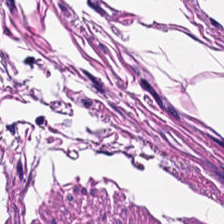H&E stain — Predominantly muscularis.
